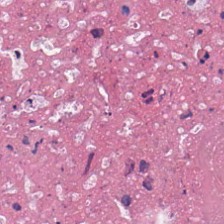Hematoxylin and eosin; 224×224 px patch. Impression → necrotic debris.
